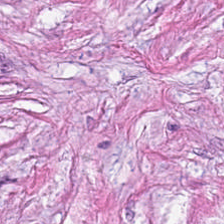224×224 pixel tile; hematoxylin and eosin — Impression — tumor stroma.
